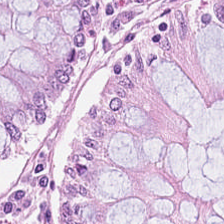Q: What tissue is shown?
A: This is normal colon mucosa.
